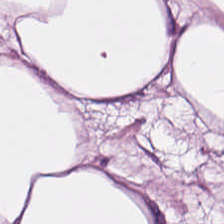Stain: hematoxylin-and-eosin stained section.
Tissue type: adipose.
